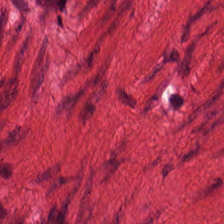{"tissue_type": "smooth muscle"}
